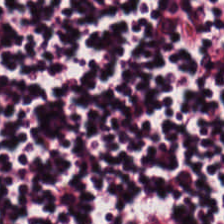224×224 px patch; hematoxylin and eosin. Lymphocyte aggregate.
